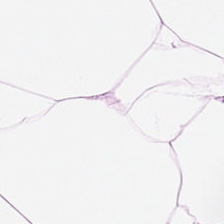Hematoxylin-and-eosin stained section — This patch shows fat tissue.
